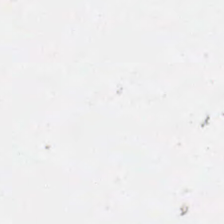Whole-slide-image patch; H&E stain.
Impression — empty background.
